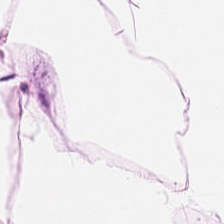H&E-stained tissue section.
Predominantly adipocytes.
